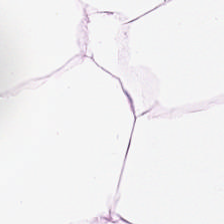Stain: H&E stain.
Classification: adipocytes.
